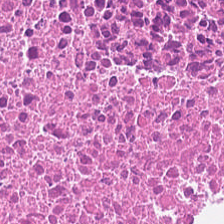Finding — cellular debris.
